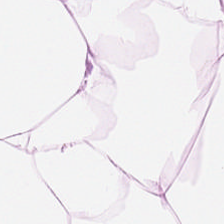Showing adipose.
